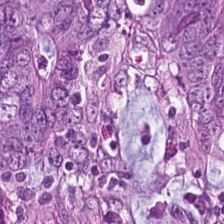The tissue type is malignant epithelium.
